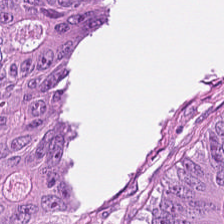Hematoxylin-and-eosin stained section — Malignant epithelium.
